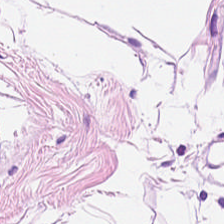H&E-stained tissue section — Q: Identify the tissue.
A: Adipose.
